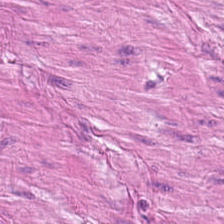H&E-stained tissue section.
Q: What tissue type is shown here?
A: Smooth muscle.
